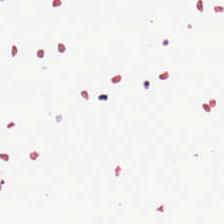H&E-stained tissue section. 0.5 µm/px. Field content — no tissue.
